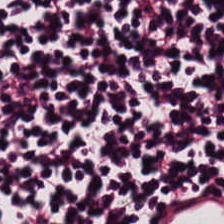Whole-slide-image patch · hematoxylin-and-eosin stained section.
The tissue here is lymphocyte aggregate.
